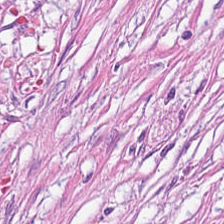Q: What is the predominant tissue type?
A: It is tumor stroma.
